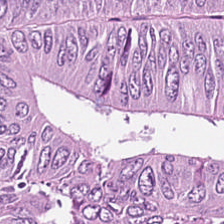224×224 px patch. H&E — Tissue type = colorectal adenocarcinoma epithelium.
